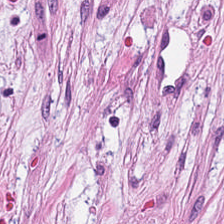Classification — cancer-associated stroma.
